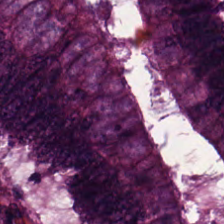Hematoxylin and eosin · formalin-fixed paraffin-embedded section — The tissue here is malignant epithelium.
